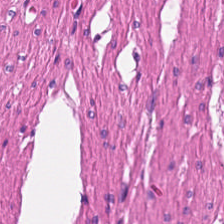Impression → muscularis.
